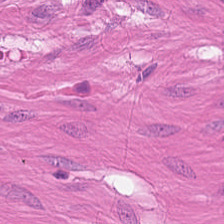H&E stain.
Tissue — smooth-muscle tissue.
